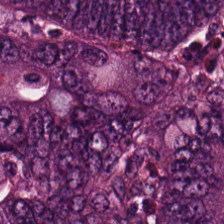FFPE tissue section; H&E stain — Q: What is shown in this field?
A: The field shows colorectal adenocarcinoma epithelium.
